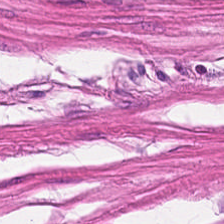{"tissue_type": "muscularis"}
